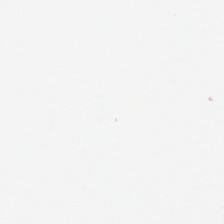Formalin-fixed paraffin-embedded section. Hematoxylin and eosin — Finding — background.
